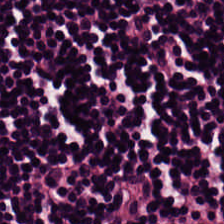H&E-stained tissue section · formalin-fixed paraffin-embedded section. Predominant tissue = lymphoid infiltrate.
